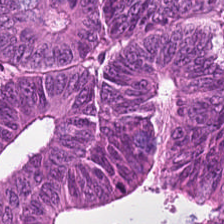FFPE tissue section · H&E · brightfield. The tissue class is adenocarcinoma.
